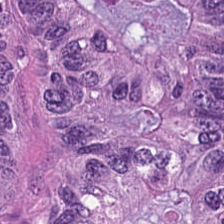Predominant tissue: tumor epithelium.
